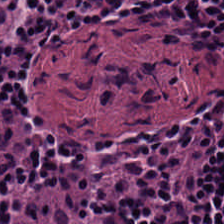Hematoxylin-and-eosin stained section.
Tissue = lymphocytes.
